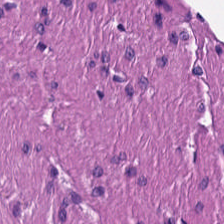Histology — smooth-muscle tissue.
